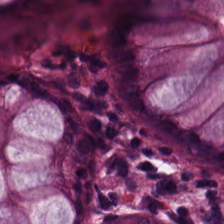This field is normal colon mucosa.
